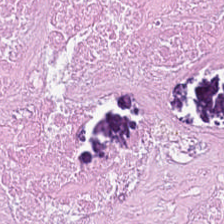H&E. Showing cellular debris.
